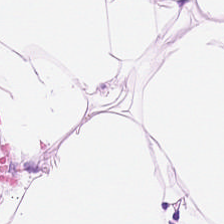H&E-stained tissue section.
Histology — adipose tissue.
